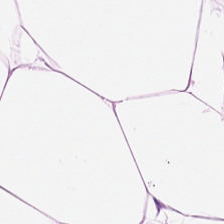FFPE · hematoxylin-and-eosin stained section.
The tissue here is adipose.
